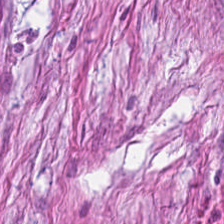224×224 pixel tile; hematoxylin-and-eosin stained section.
Q: What tissue is shown?
A: This is desmoplastic stroma.
